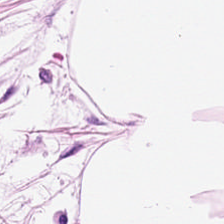H&E — fat tissue.
